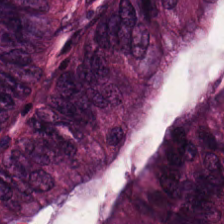Hematoxylin-and-eosin stained section · 0.5 µm/px — {"tissue_type": "tumor epithelium"}
